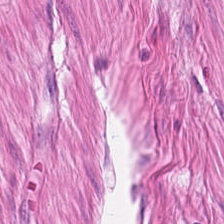Predominant tissue: smooth-muscle tissue.
